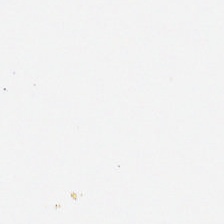Background — no tissue in this field.
